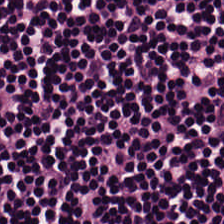Hematoxylin and eosin — The predominant tissue is lymphoid infiltrate.
